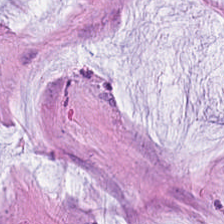WSI patch · 0.5 µm per pixel · hematoxylin-and-eosin stained section — The tissue here is mucin.
